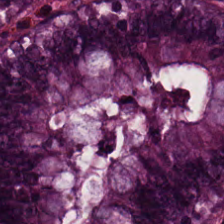Hematoxylin-and-eosin stained section · WSI patch. Classification: benign colonic mucosa.
